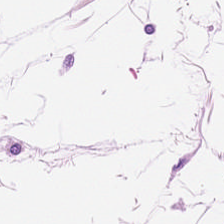Q: What is shown here?
A: The field shows adipose.
